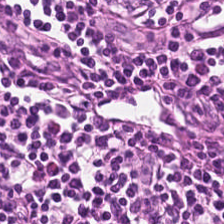FFPE tissue section; 224×224 px patch; hematoxylin and eosin — This patch shows lymphoid infiltrate.
